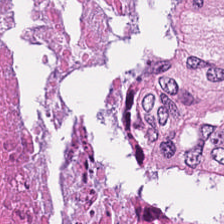H&E-stained section; the field shows debris.
